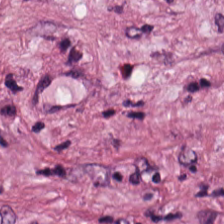H&E-stained tissue section.
The tissue here is tumor stroma.
